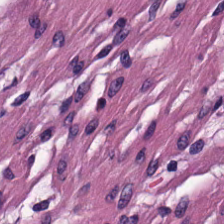Brightfield microscopy · FFPE tissue section · H&E-stained tissue section.
Tissue: smooth-muscle tissue.
